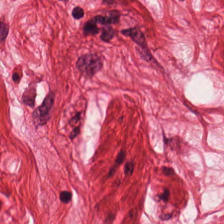Brightfield · hematoxylin-and-eosin stained section.
Predominantly smooth-muscle tissue.
